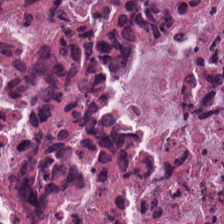Impression → cellular debris.
